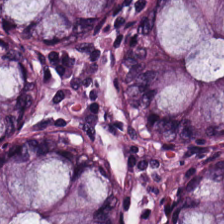Stain: hematoxylin and eosin.
Acquisition: whole-slide-image patch.
Tissue type: benign colonic mucosa.
